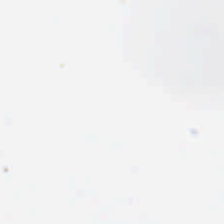Hematoxylin-and-eosin stained section · formalin-fixed paraffin-embedded section — The field content is background (no tissue).
